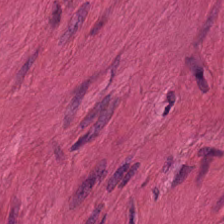WSI patch · H&E · 0.5 microns per pixel.
This patch shows smooth-muscle tissue.
